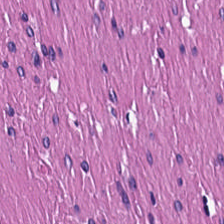Hematoxylin-and-eosin stained section · FFPE.
The tissue here is smooth muscle.
